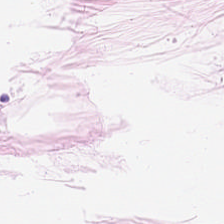Hematoxylin and eosin. Whole-slide-image patch.
{"tissue_type": "adipose"}
